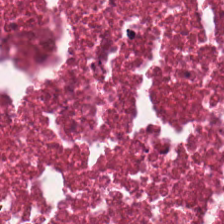Hematoxylin-and-eosin stained section. Formalin-fixed paraffin-embedded section.
{"tissue_type": "cellular debris"}
